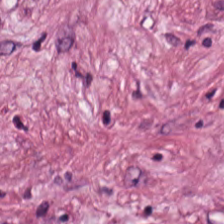Stain: H&E.
Tissue: tumor stroma.
